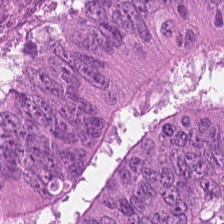Predominantly colorectal adenocarcinoma epithelium.
